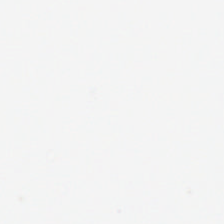H&E stain; formalin-fixed paraffin-embedded section — Empty field — background (no tissue).
